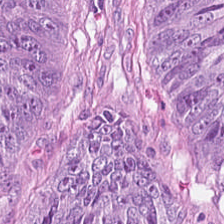H&E-stained tissue section. Q: Identify the tissue.
A: The field shows tumor epithelium.
